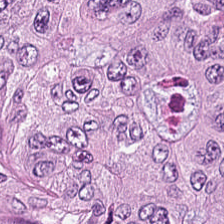H&E. Tumor epithelium.
